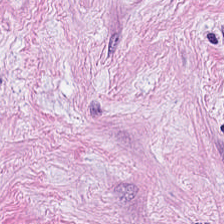Whole-slide-image patch · H&E stain — Finding → desmoplastic stroma.
